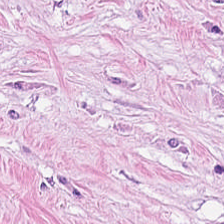Hematoxylin and eosin · 224×224 px patch · FFPE tissue section — Tissue = tumor stroma.
